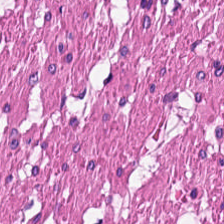H&E-stained tissue section.
This field is smooth-muscle tissue.
